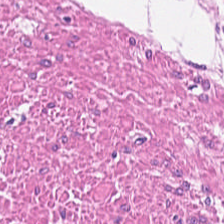H&E patch showing smooth muscle.
